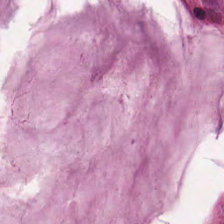H&E; 0.5 microns per pixel — The tissue here is mucin.
